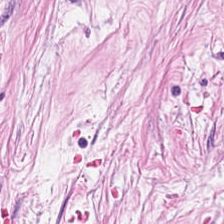0.5 µm per pixel; 224×224 pixel tile; H&E-stained tissue section. The predominant tissue is tumor stroma.
